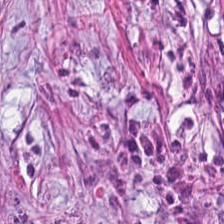FFPE · H&E stain. Showing tumor-associated stroma.
